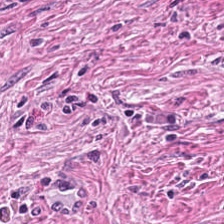Classification = desmoplastic stroma.
